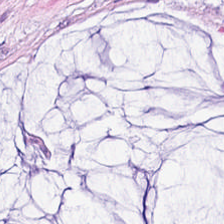0.5 µm per pixel. H&E. Brightfield. Finding → extracellular mucin.
